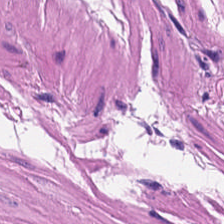Hematoxylin-and-eosin stained section — Finding — smooth-muscle tissue.
